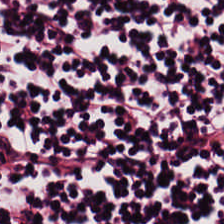Stain: H&E-stained tissue section.
Tile size: 224×224 pixel tile.
Preparation: formalin-fixed paraffin-embedded section.
Tissue class: lymphocytes.
